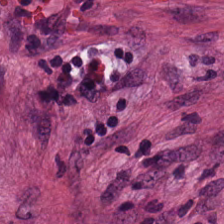224×224 px tile · H&E · 20× equivalent magnification — Tissue type: tumor-associated stroma.
